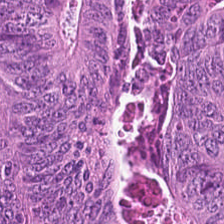Histology → adenocarcinoma.
